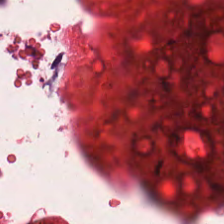H&E stain.
Tissue type: smooth-muscle tissue.
